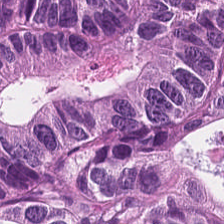Predominant tissue — tumor epithelium.
